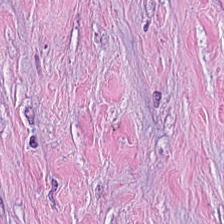H&E stain — Classification = cancer-associated stroma.
